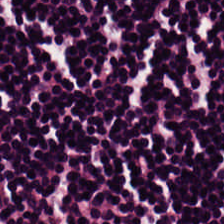0.5 microns per pixel · H&E · whole-slide-image patch.
Lymphoid infiltrate.
